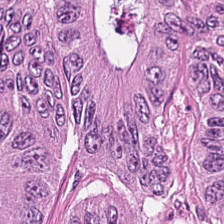Hematoxylin and eosin — This patch shows adenocarcinoma.
